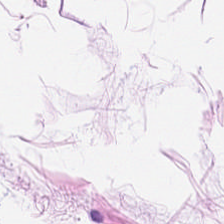Formalin-fixed paraffin-embedded section · WSI patch · hematoxylin-and-eosin stained section — Fat tissue.
